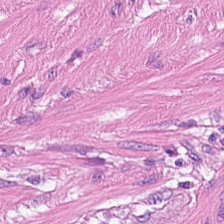Tissue = smooth muscle.
